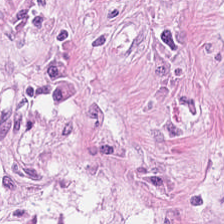H&E.
Tissue — tumor stroma.
